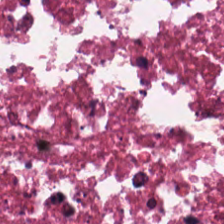Tissue type: debris.
